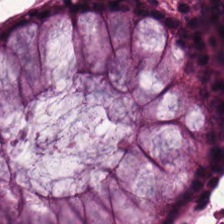Q: What tissue is shown?
A: This is normal colonic mucosa.
